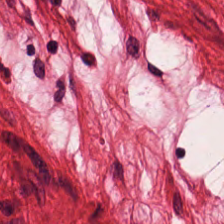H&E-stained tissue section — The tissue type is muscularis.
